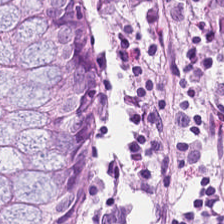Hematoxylin-and-eosin stained section — Non-neoplastic colon mucosa.
